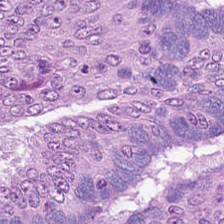Hematoxylin and eosin — Tissue: colorectal adenocarcinoma epithelium.
